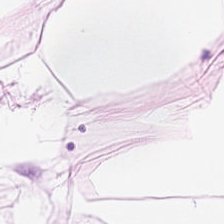This patch shows adipose tissue.
